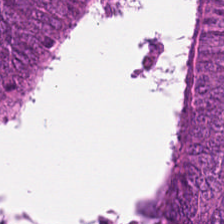Stain: H&E stain.
Tissue: colorectal adenocarcinoma.
